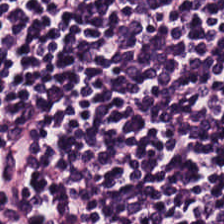FFPE. Hematoxylin-and-eosin stained section. 0.5 microns per pixel — Finding → lymphocytic infiltrate.
